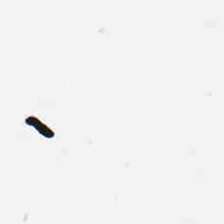Hematoxylin and eosin.
Empty field — background.
